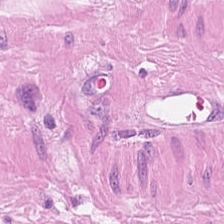H&E stain — Q: What is the predominant tissue type?
A: It is smooth muscle.
